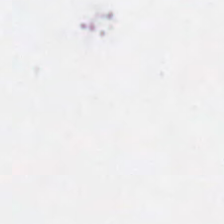Brightfield · hematoxylin-and-eosin stained section.
{"content": "background"}
